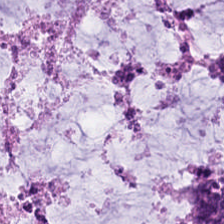0.5 microns per pixel · H&E stain · FFPE tissue section. Tissue class: mucin.
